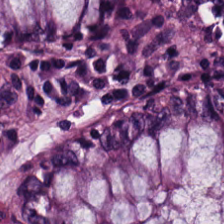H&E stain · 224×224 pixel tile. {"tissue_type": "benign colonic mucosa"}
